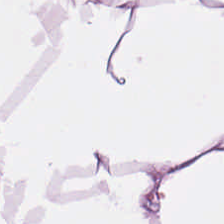WSI patch; hematoxylin and eosin; 0.5 µm per pixel — Predominantly adipose tissue.
